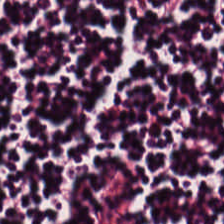H&E.
Q: Classify this patch.
A: The field shows lymphocytic infiltrate.
